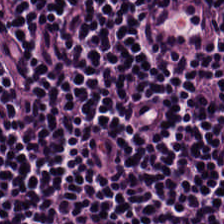The predominant tissue is lymphocytes.
